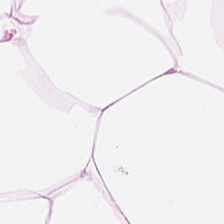Hematoxylin-and-eosin stained section.
Predominantly adipose tissue.
